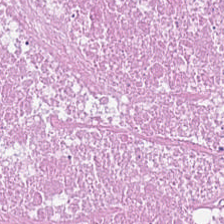H&E-stained tissue section.
The predominant tissue is necrotic debris.
